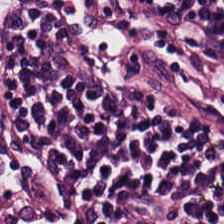FFPE. H&E stain. The tissue here is lymphocytes.
